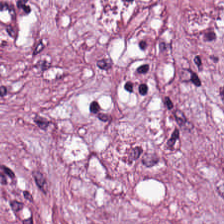Stain: hematoxylin-and-eosin stained section.
Tile size: 224×224 px tile.
Preparation: FFPE tissue section.
Predominant tissue: desmoplastic stroma.
